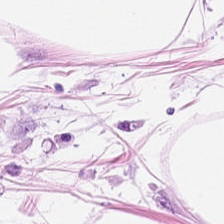Stain: H&E stain.
Predominant tissue: adipose tissue.
